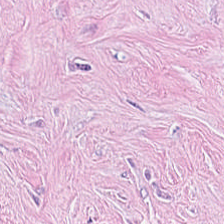The predominant tissue is desmoplastic stroma.
